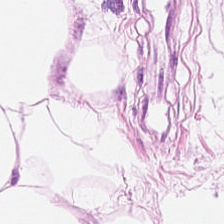Adipose tissue.
